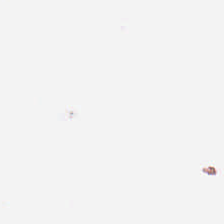Hematoxylin and eosin · WSI patch — This field is background (no tissue).
